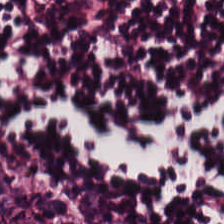H&E-stained tissue section; FFPE tissue section — Showing lymphocytic infiltrate.
